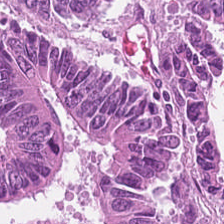Formalin-fixed paraffin-embedded section. Hematoxylin-and-eosin stained section — This field is colorectal adenocarcinoma epithelium.
